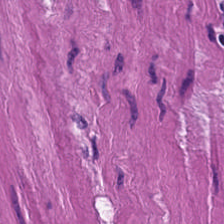{"tissue_type": "smooth-muscle tissue"}
